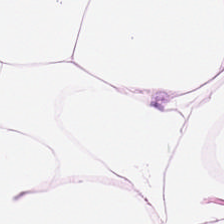Q: Identify the tissue.
A: It is adipocytes.
